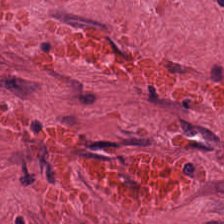Hematoxylin and eosin.
The predominant tissue is desmoplastic stroma.
